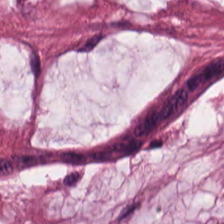The tissue type is extracellular mucin.
